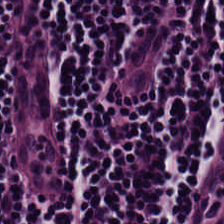Hematoxylin and eosin. Whole-slide-image patch — Lymphoid infiltrate.
